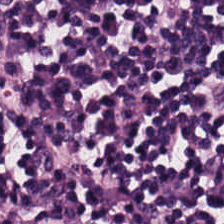Brightfield · hematoxylin-and-eosin stained section — Tissue class — lymphoid infiltrate.
